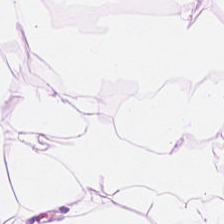Stain: H&E.
Tissue: adipocytes.
